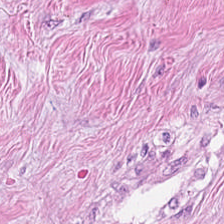Hematoxylin and eosin. Q: What tissue type is shown here?
A: The field shows cancer-associated stroma.
